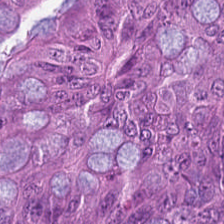Hematoxylin-and-eosin stained section. Finding → malignant epithelium.
